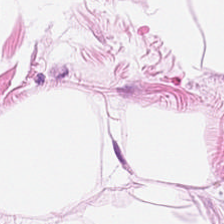H&E.
Showing fat tissue.
